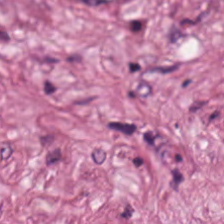Stain: H&E.
Resolution: 0.5 µm/px.
Classification: cancer-associated stroma.
